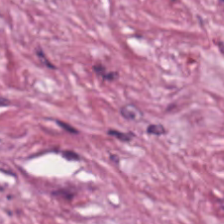Impression — desmoplastic stroma.
